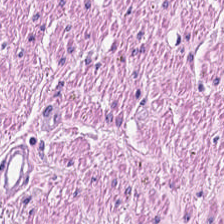224×224 pixel tile. Whole-slide-image patch. H&E-stained tissue section — Q: What is shown here?
A: It is muscularis.
